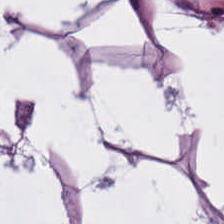Formalin-fixed paraffin-embedded section. 0.5 microns per pixel. Hematoxylin and eosin. Q: What is shown in this field?
A: The field shows fat tissue.
